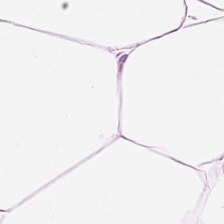Hematoxylin and eosin. FFPE. 20× equivalent magnification. Q: What does this patch show?
A: It is fat tissue.
